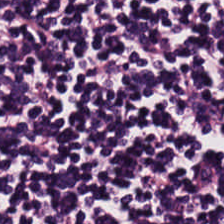H&E. Impression → lymphocytic infiltrate.
